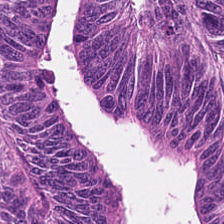Formalin-fixed paraffin-embedded section · H&E. Impression → colorectal adenocarcinoma.
